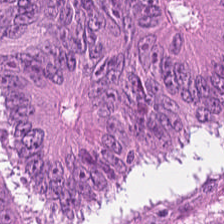Stain: H&E stain.
Tissue: colorectal adenocarcinoma epithelium.
